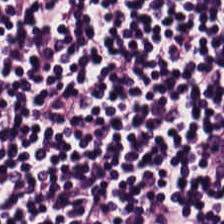H&E-stained tissue section.
Q: What tissue type is shown here?
A: This is lymphocytic infiltrate.
